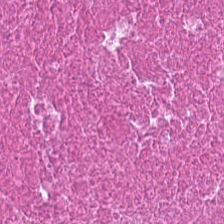Hematoxylin and eosin. Q: What is the predominant tissue type?
A: Necrotic debris.
